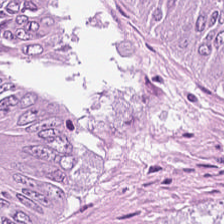H&E stain · 224×224 px patch. Q: What does this patch show?
A: It is malignant epithelium.
